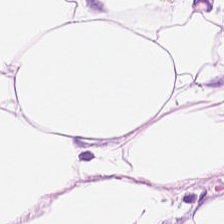Adipose tissue.
